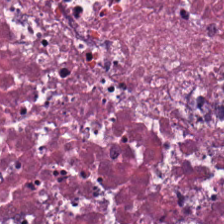H&E. Tissue: cellular debris.
